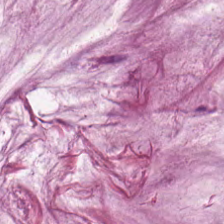The tissue is mucin.
